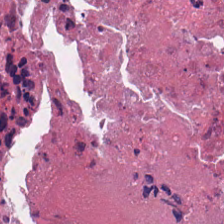H&E. The tissue type is necrotic debris.
